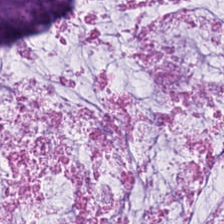FFPE tissue section. H&E. WSI patch.
Tissue type — mucin.
